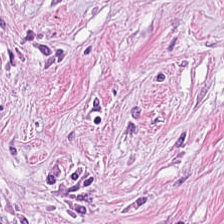20× equivalent magnification · WSI patch · H&E. Tissue type = tumor-associated stroma.
